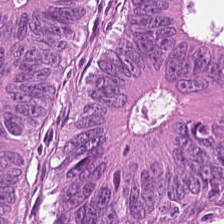H&E-stained tissue section. FFPE tissue section. The predominant tissue is adenocarcinoma.
